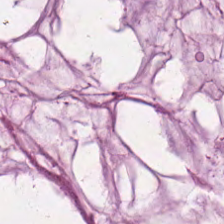Hematoxylin-and-eosin section: mucus.
